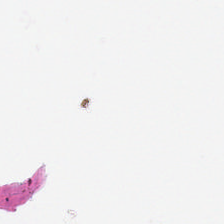Q: Classify this patch.
A: It is background (no tissue).
